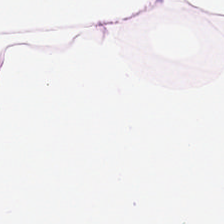Hematoxylin and eosin. Predominant tissue: fat tissue.
